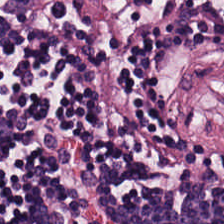H&E-stained tissue section. Tissue type = lymphocytic infiltrate.
